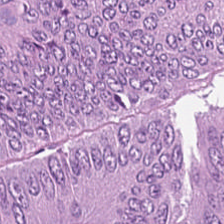Tissue class: malignant epithelium.
